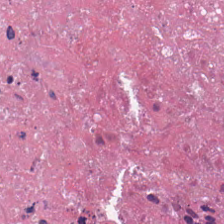Hematoxylin and eosin.
Cellular debris.
